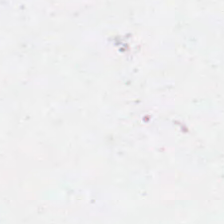FFPE · brightfield · H&E stain. Q: Classify this patch.
A: This is background (no tissue).
